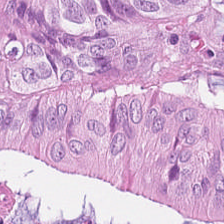H&E stain.
The tissue is colorectal adenocarcinoma epithelium.
